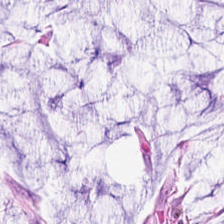Hematoxylin and eosin. Classification: extracellular mucin.
